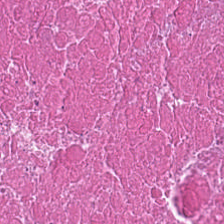Classification — necrotic debris.
